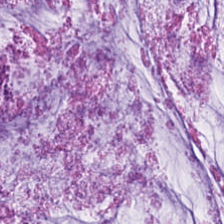20× equivalent magnification. Hematoxylin-and-eosin stained section.
Q: What is the predominant tissue type?
A: It is mucin.
